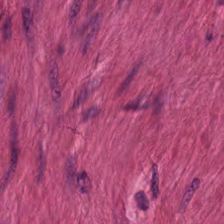Stain: H&E-stained tissue section.
Classification: smooth muscle.
